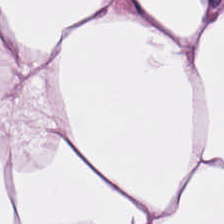Finding → adipocytes.
